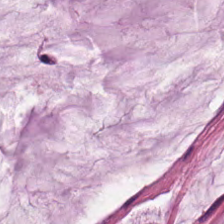H&E-stained tissue section. Histology → mucin.
